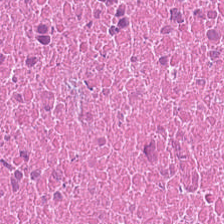0.5 µm/px · H&E stain. Showing necrotic debris.
